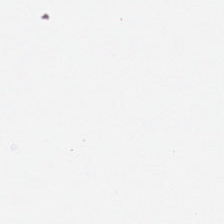H&E-stained tissue section; 0.5 µm/px; FFPE.
No tissue present; background only.
